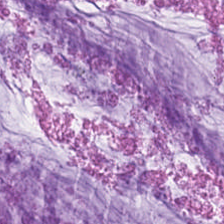H&E-stained tissue section. 224×224 pixel tile. 0.5 µm per pixel — Showing extracellular mucin.
